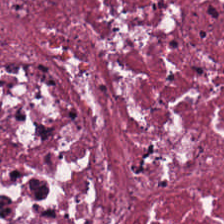Tissue = necrotic debris.
